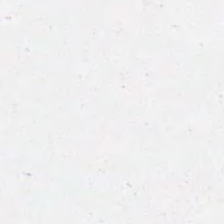Hematoxylin and eosin — The field content is background (no tissue).
